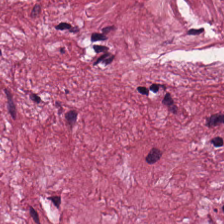Hematoxylin and eosin. 20× equivalent magnification.
{"tissue_type": "cancer-associated stroma"}
